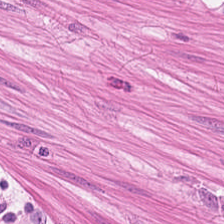Hematoxylin-and-eosin stained section · 224×224 px tile.
Tissue — smooth-muscle tissue.
